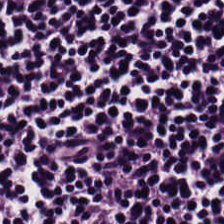H&E. The tissue is lymphocyte aggregate.
